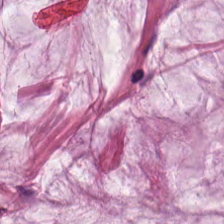0.5 microns per pixel; H&E. Extracellular mucin.
